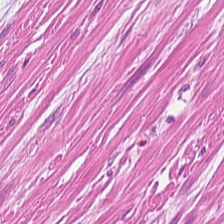Stain: H&E.
Tissue class: smooth-muscle tissue.
